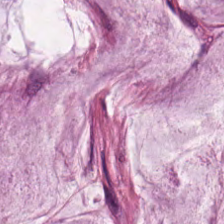224×224 px patch. Hematoxylin-and-eosin stained section. Predominant tissue: extracellular mucin.
